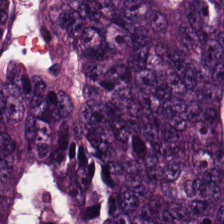Hematoxylin and eosin — {"tissue_type": "colorectal adenocarcinoma"}
